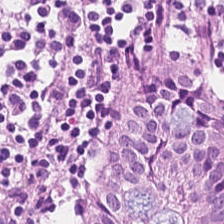Hematoxylin-and-eosin stained section — Q: What does this patch show?
A: It is normal colonic mucosa.
